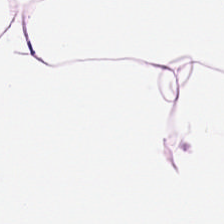H&E — Showing adipose.
